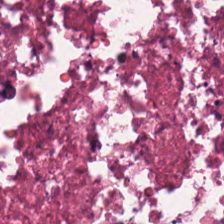Stain: H&E stain.
Tissue: necrotic debris.
